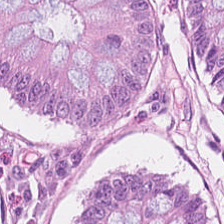H&E stain — Q: What tissue type is shown here?
A: The field shows non-neoplastic colon mucosa.
